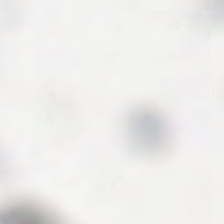H&E — Field content — empty background.
